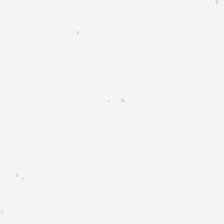Hematoxylin-and-eosin stained section. 0.5 µm per pixel.
The content is no tissue.
